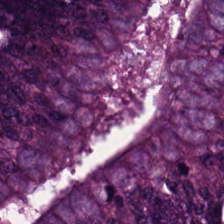Hematoxylin and eosin. This patch shows tumor epithelium.
